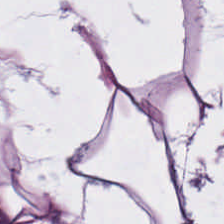Stain: H&E.
Classification: adipocytes.
